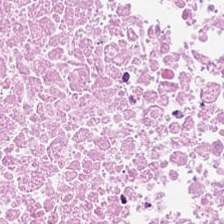H&E-stained tissue section — Impression — debris.
